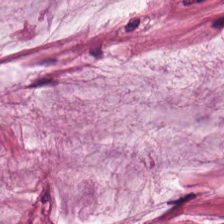Stain: H&E.
Preparation: FFPE tissue section.
Tissue: mucus.
